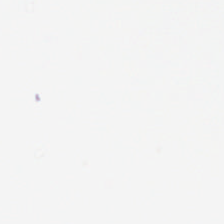Hematoxylin and eosin · FFPE tissue section · 224×224 px tile — The content is no tissue.
